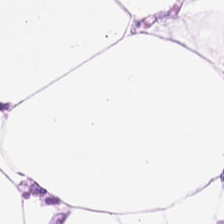Stain: H&E.
Classification: adipocytes.
